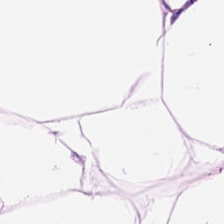H&E.
Q: What type of tissue is this?
A: Adipocytes.
